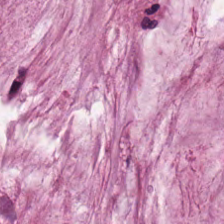H&E stain — Histology — extracellular mucin.
